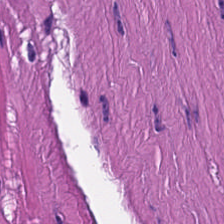Q: What type of tissue is this?
A: Muscularis.
